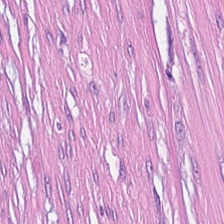FFPE tissue section · H&E-stained tissue section. Tissue type — tumor-associated stroma.
